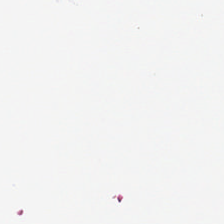H&E-stained tissue section · 224×224 px patch — Field content: no tissue.
